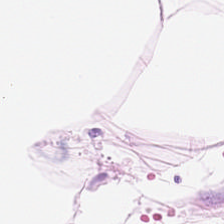Stain: hematoxylin-and-eosin stained section.
Predominant tissue: adipocytes.
